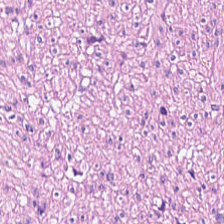FFPE tissue section. 0.5 microns per pixel. H&E-stained tissue section.
Q: What tissue is shown?
A: This is muscularis.
